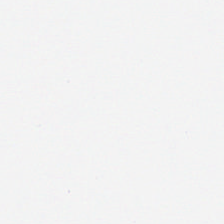Brightfield microscopy. Hematoxylin and eosin — Q: What does this patch show?
A: It is background (no tissue).
